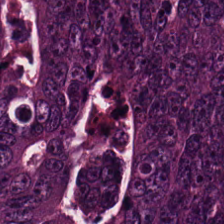0.5 microns per pixel · hematoxylin-and-eosin stained section · FFPE tissue section.
Tissue type: tumor epithelium.
